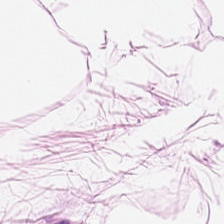Hematoxylin and eosin. Predominantly adipose.
